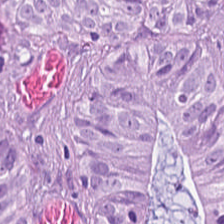H&E stain — Histology — colorectal adenocarcinoma epithelium.
